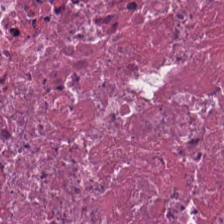H&E. Q: Classify this patch.
A: Debris.
